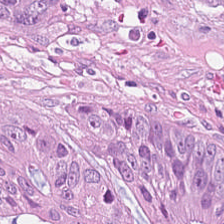H&E. This patch shows colorectal adenocarcinoma epithelium.
